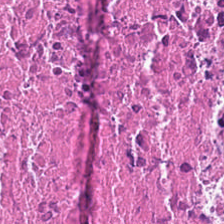Hematoxylin-and-eosin stained section.
Finding → cellular debris.
